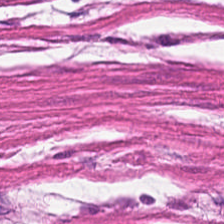H&E stain · 224×224 pixel tile. Tissue type: muscularis.
